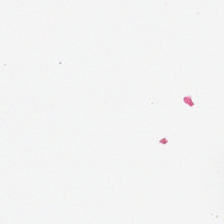224×224 px tile. 0.5 µm/px. H&E — Classification — background (no tissue).
